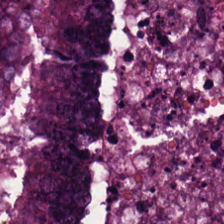H&E-stained tissue section · 0.5 µm per pixel. Q: Identify the tissue.
A: Adenocarcinoma.
